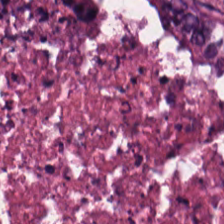Hematoxylin-and-eosin stained section — Histology — debris.
